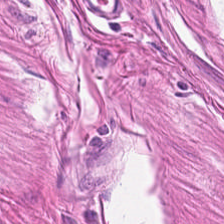Stain: hematoxylin-and-eosin stained section.
Acquisition: brightfield.
Preparation: FFPE.
Classification: smooth muscle.
